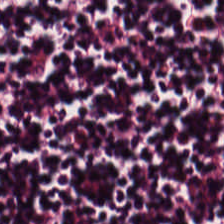Hematoxylin-and-eosin stained section. FFPE. Brightfield. Histology — lymphoid infiltrate.
